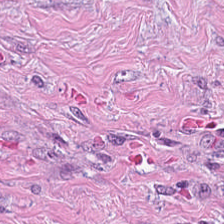H&E; brightfield; 0.5 µm/px.
Impression — desmoplastic stroma.
